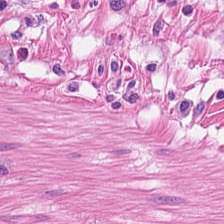H&E.
Muscularis.
